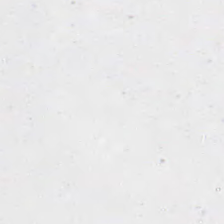Stain: hematoxylin and eosin.
Preparation: FFPE tissue section.
Tile size: 224×224 px tile.
Classification: empty background.
